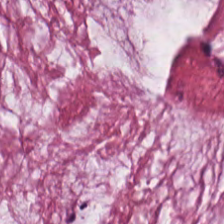Hematoxylin-and-eosin stained section. Extracellular mucin.
